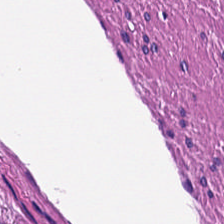H&E stain · WSI patch — This field is smooth-muscle tissue.
